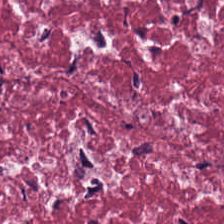H&E-stained tissue section; FFPE tissue section. {"tissue_type": "tumor stroma"}
